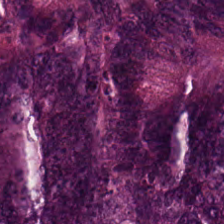Hematoxylin-and-eosin stained section.
The predominant tissue is adenocarcinoma.
